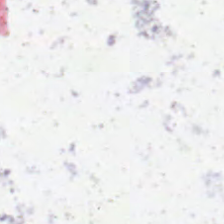Hematoxylin and eosin; FFPE tissue section. Impression — no tissue.
